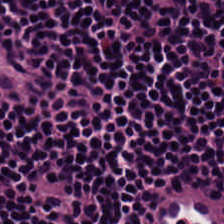H&E patch showing lymphocytes.
